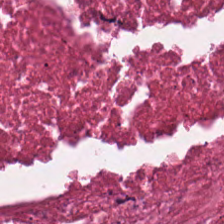224×224 pixel tile. H&E stain. This patch shows cellular debris.
